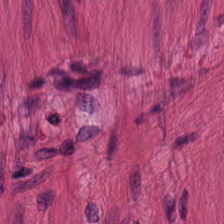H&E-stained tissue section. Muscularis.
